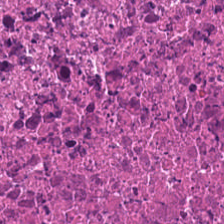Stain: H&E stain.
Acquisition: brightfield microscopy.
Classification: cellular debris.
